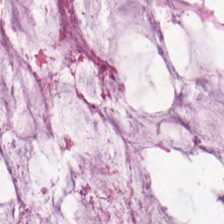Q: Identify the tissue.
A: It is mucus.
